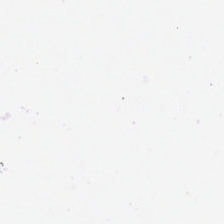Brightfield microscopy · H&E stain.
Empty field — empty background.
